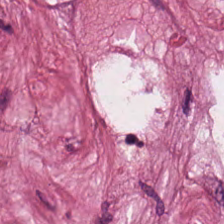224×224 px patch; hematoxylin and eosin; 20× equivalent magnification — Classification = desmoplastic stroma.
